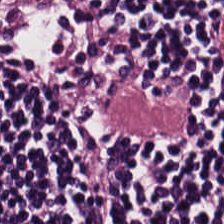FFPE tissue section; hematoxylin-and-eosin stained section.
This patch shows lymphocyte aggregate.
